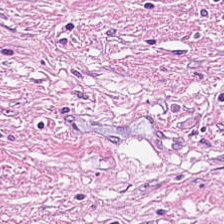Stain: H&E stain.
Acquisition: WSI patch.
Tile size: 224×224 px tile.
Tissue: desmoplastic stroma.
